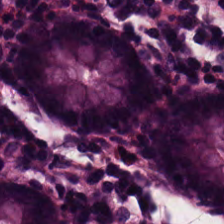Hematoxylin and eosin.
Impression — normal colonic mucosa.
